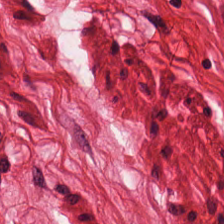This patch shows smooth-muscle tissue.
